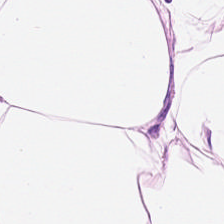0.5 µm per pixel. H&E-stained tissue section. Brightfield. Q: What tissue is shown?
A: The field shows adipose.
